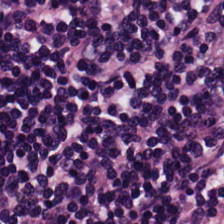H&E-stained tissue section; FFPE tissue section. Predominant tissue = lymphoid infiltrate.
